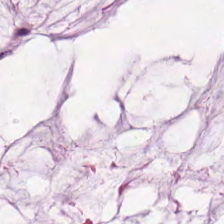Hematoxylin and eosin. Q: What type of tissue is this?
A: This is mucus.
